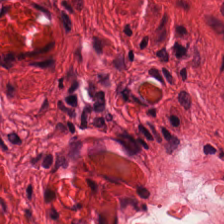Hematoxylin and eosin.
This field is smooth-muscle tissue.
